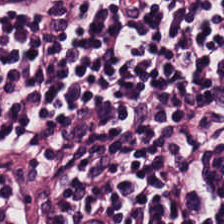H&E-stained tissue section showing lymphocytic infiltrate.
